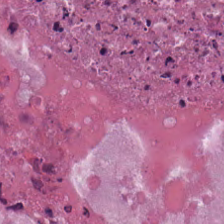Hematoxylin and eosin · FFPE tissue section — This patch shows necrotic debris.
